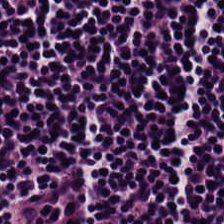Hematoxylin-and-eosin stained section — Finding — lymphocytic infiltrate.
